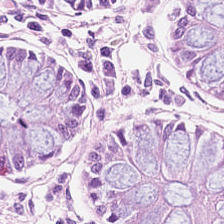H&E — This field is benign colonic mucosa.
